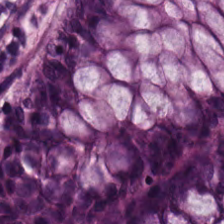FFPE; H&E stain.
Tissue class = normal colon mucosa.
